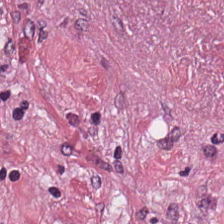Hematoxylin-and-eosin stained section · 0.5 microns per pixel — This patch shows tumor-associated stroma.
